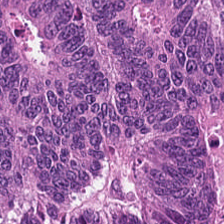H&E-stained tissue section. Q: What is the predominant tissue type?
A: Malignant epithelium.
